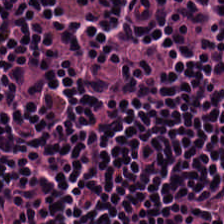H&E patch showing lymphocytes.
